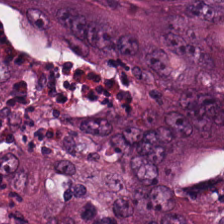H&E. FFPE tissue section — The tissue here is malignant epithelium.
